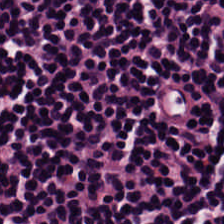H&E-stained section; the field shows lymphocyte aggregate.
